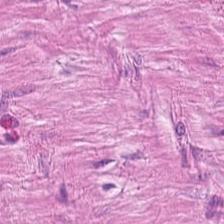H&E — smooth muscle.
